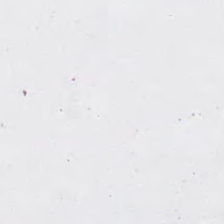FFPE tissue section. Hematoxylin-and-eosin stained section. This patch shows no tissue.
